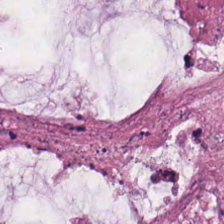224×224 pixel tile. Hematoxylin-and-eosin stained section. 0.5 µm per pixel. Histology → mucus.
